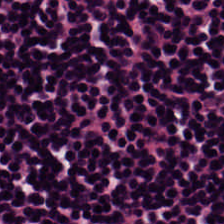The tissue is lymphoid infiltrate.
